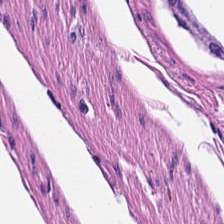H&E — Q: What tissue type is shown here?
A: This is smooth muscle.
